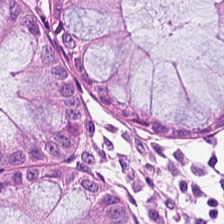Hematoxylin and eosin. FFPE tissue section.
The tissue type is benign colonic mucosa.
